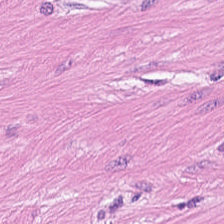H&E stain — The classification is muscularis.
